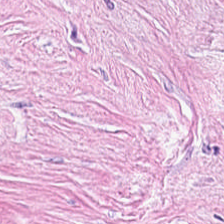H&E. FFPE tissue section — Desmoplastic stroma.
